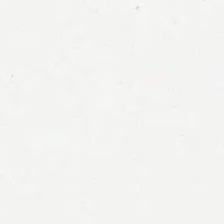Q: Classify this patch.
A: It is empty background.
